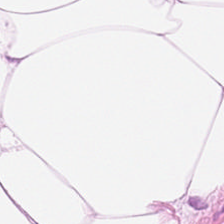Hematoxylin-and-eosin stained section.
Impression — adipose tissue.
